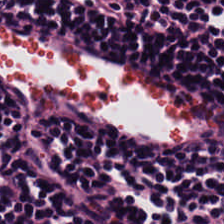H&E. Tissue class — lymphocyte aggregate.
